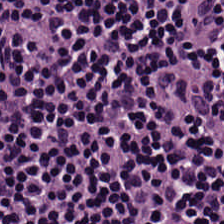Stain: H&E-stained tissue section.
Preparation: FFPE.
Classification: lymphocyte aggregate.
